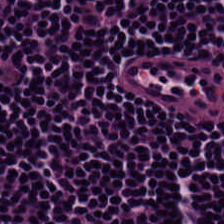Hematoxylin-and-eosin stained section. Q: What is the predominant tissue type?
A: The field shows lymphocytes.
